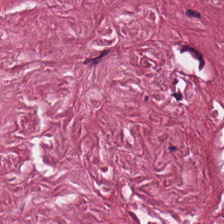The tissue class is tumor stroma.
